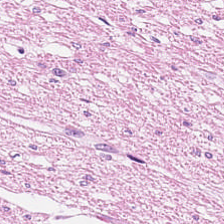Hematoxylin and eosin. 224×224 px patch. The tissue here is smooth muscle.
